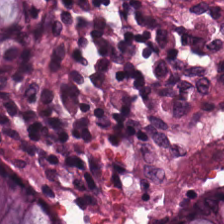Normal colonic mucosa.
